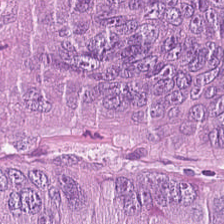Hematoxylin-and-eosin stained section · 0.5 µm/px.
Q: What type of tissue is this?
A: The field shows colorectal adenocarcinoma.
